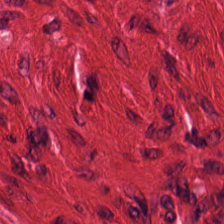H&E stain.
This patch shows smooth muscle.
